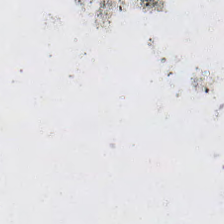0.5 µm per pixel. H&E-stained tissue section. Formalin-fixed paraffin-embedded section — Classification: empty background.
